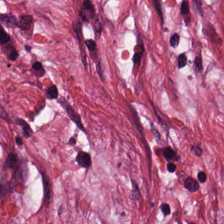H&E stain. This field is tumor stroma.
